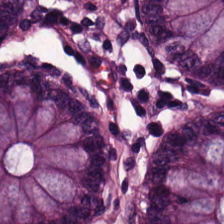0.5 microns per pixel. Hematoxylin-and-eosin stained section.
Finding — normal colon mucosa.
